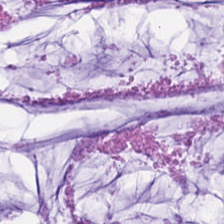Showing mucin.
